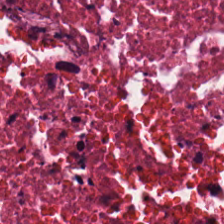H&E patch showing cellular debris.
